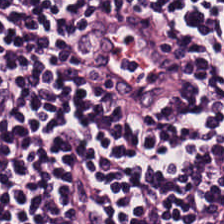FFPE tissue section. H&E-stained tissue section. 224×224 pixel tile — The tissue is lymphocytic infiltrate.
